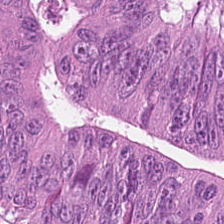H&E stain.
Showing malignant epithelium.
